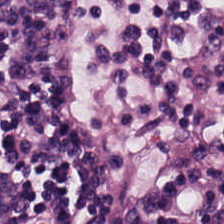H&E stain · 0.5 µm per pixel. This patch shows lymphocytic infiltrate.
